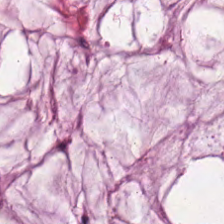Hematoxylin-and-eosin stained section · brightfield microscopy — The tissue class is mucus.
